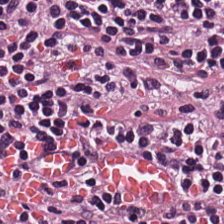Finding → lymphocytic infiltrate.
